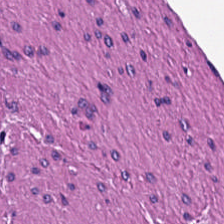Hematoxylin and eosin. Q: What is the predominant tissue type?
A: It is smooth-muscle tissue.
